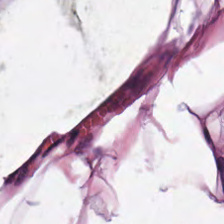Brightfield microscopy; 224×224 pixel tile; H&E stain.
Q: Identify the tissue.
A: This is adipose.
